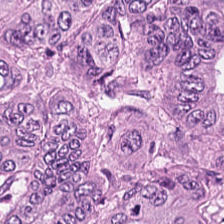Stain: H&E stain.
Acquisition: WSI patch.
Tissue: colorectal adenocarcinoma.
